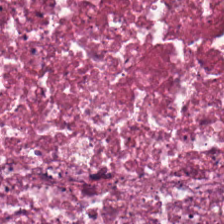H&E.
This patch shows debris.
